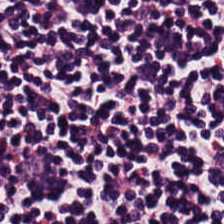0.5 microns per pixel; formalin-fixed paraffin-embedded section; H&E stain — Q: What type of tissue is this?
A: The field shows lymphocytic infiltrate.
